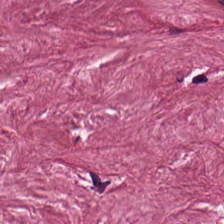Stain: hematoxylin and eosin.
Preparation: FFPE.
Tile size: 224×224 px tile.
Tissue: desmoplastic stroma.
